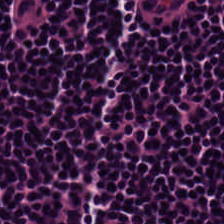Hematoxylin-and-eosin stained section.
Q: What is shown in this field?
A: The field shows lymphocytes.
